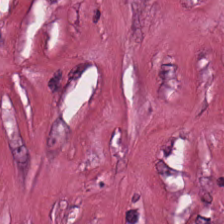H&E; 224×224 px tile — The tissue here is tumor-associated stroma.
